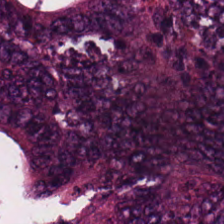Hematoxylin-and-eosin section: adenocarcinoma.
